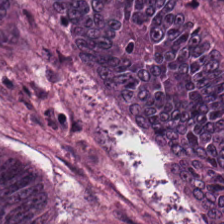H&E. Tissue type — malignant epithelium.
